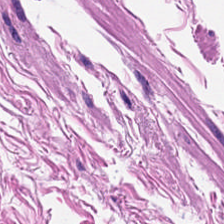Hematoxylin and eosin · FFPE tissue section — The tissue here is smooth muscle.
